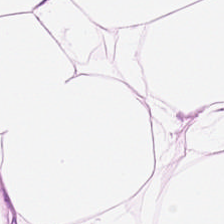H&E-stained tissue section; 0.5 µm per pixel; brightfield microscopy — The tissue class is adipose.
